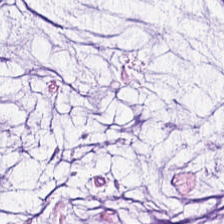The tissue class is mucin.
